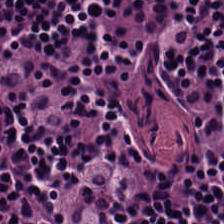Stain: hematoxylin-and-eosin stained section.
Predominant tissue: lymphoid infiltrate.
